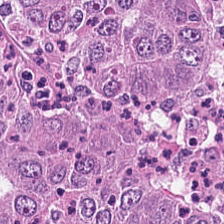FFPE tissue section · 0.5 µm/px · hematoxylin and eosin — Colorectal adenocarcinoma epithelium.
